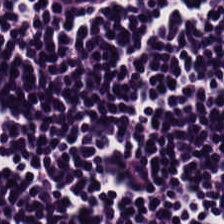Hematoxylin and eosin. The tissue here is lymphocytic infiltrate.
